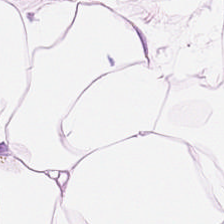Finding → adipocytes.
